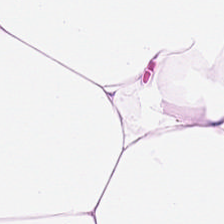Q: What tissue type is shown here?
A: Adipose.
